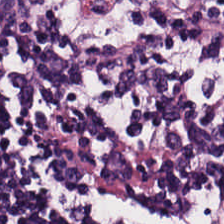20× equivalent magnification. Hematoxylin and eosin — Classification — lymphocyte aggregate.
